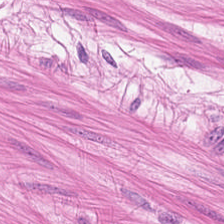WSI patch. H&E.
Predominant tissue — smooth-muscle tissue.
